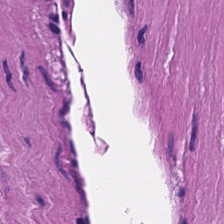Stain: hematoxylin-and-eosin stained section.
Classification: smooth muscle.
